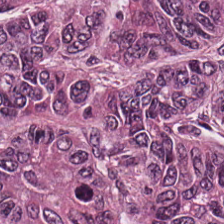H&E; 0.5 µm/px — Finding → colorectal adenocarcinoma epithelium.
